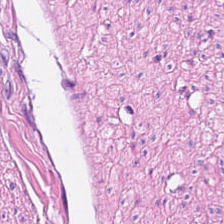H&E stain; FFPE; brightfield microscopy — Predominantly smooth muscle.
